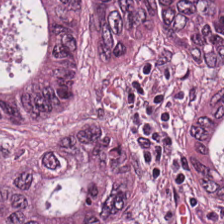H&E stain; brightfield.
Predominantly adenocarcinoma.
